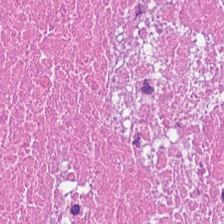H&E-stained tissue section.
Tissue: debris.
